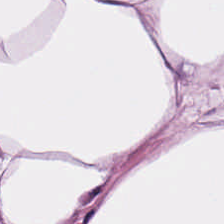224×224 pixel tile · FFPE tissue section · H&E stain — {"tissue_type": "fat tissue"}
